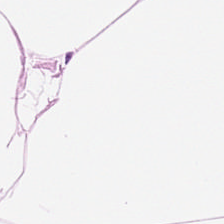Hematoxylin and eosin. Adipose.
